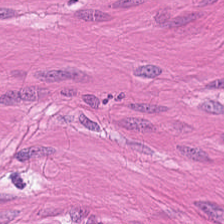H&E-stained tissue section. This patch shows smooth-muscle tissue.
